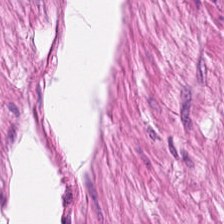224×224 pixel tile; hematoxylin-and-eosin stained section — Q: Classify this patch.
A: The field shows smooth muscle.
